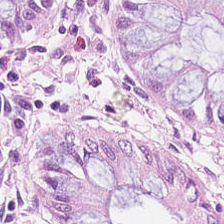H&E-stained tissue section · 224×224 px patch · brightfield microscopy.
Finding → normal colonic mucosa.
